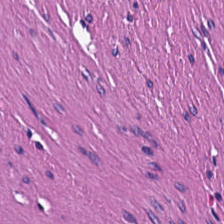0.5 microns per pixel · H&E stain — Classification = smooth muscle.
